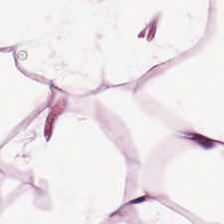H&E-stained tissue section. FFPE. 0.5 microns per pixel.
Finding → adipose tissue.
